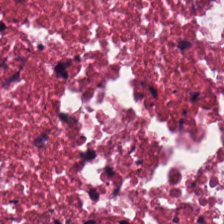224×224 px tile; FFPE; H&E — This field is necrotic debris.
